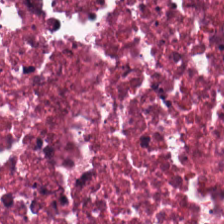224×224 pixel tile. Formalin-fixed paraffin-embedded section. H&E-stained tissue section.
Q: What type of tissue is this?
A: Necrotic debris.
